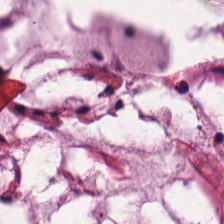Hematoxylin and eosin — Q: What tissue is shown?
A: The field shows mucus.
